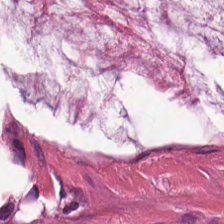Brightfield · H&E stain.
Classification: mucus.
